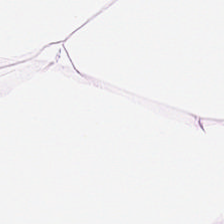Formalin-fixed paraffin-embedded section · H&E-stained tissue section · 0.5 µm/px — This patch shows fat tissue.
